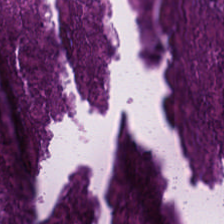H&E stain — Q: Identify the tissue.
A: Necrotic debris.
